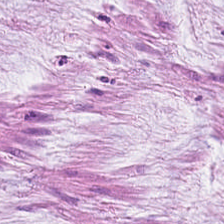Hematoxylin-and-eosin stained section; brightfield microscopy.
Q: What is shown in this field?
A: The field shows extracellular mucin.
